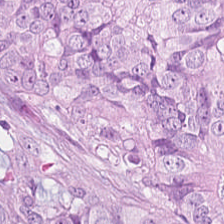224×224 pixel tile; brightfield; H&E stain. Q: Classify this patch.
A: Colorectal adenocarcinoma epithelium.
